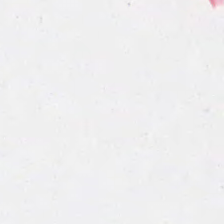Background — no tissue in this field.
